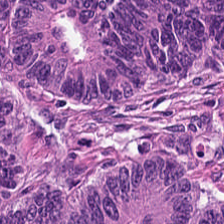H&E — adenocarcinoma.
